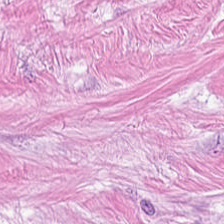H&E-stained tissue section. Predominantly tumor-associated stroma.
